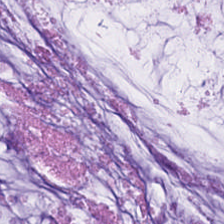0.5 µm/px. FFPE tissue section. Hematoxylin and eosin. Showing extracellular mucin.
